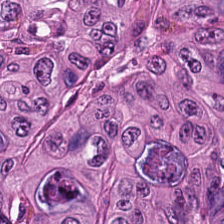H&E — This patch shows colorectal adenocarcinoma.
